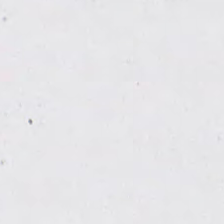H&E stain. Classification = empty background.
